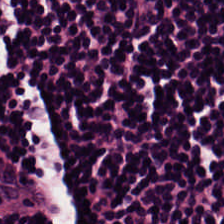H&E. 224×224 px tile. The classification is lymphocyte aggregate.
